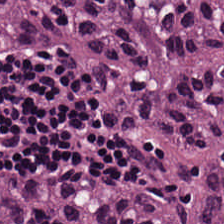H&E-stained tissue section. FFPE. Brightfield microscopy. The predominant tissue is colorectal adenocarcinoma.
